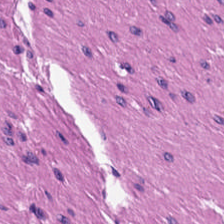H&E-stained section; the field shows smooth muscle.
